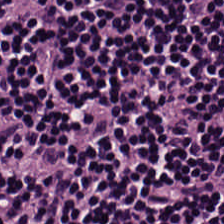Hematoxylin and eosin · 0.5 microns per pixel — Impression → lymphocyte aggregate.
